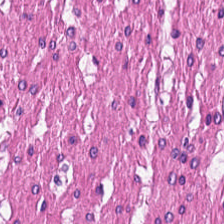H&E — Tissue = smooth-muscle tissue.
